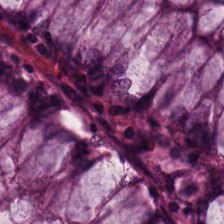Stain: hematoxylin and eosin.
Tile size: 224×224 px tile.
Classification: normal colonic mucosa.
